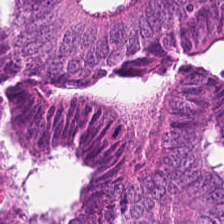H&E stain. WSI patch.
Tissue class = colorectal adenocarcinoma epithelium.
